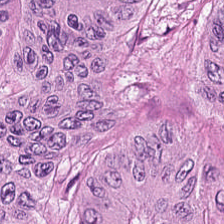H&E-stained tissue section. The predominant tissue is adenocarcinoma.
